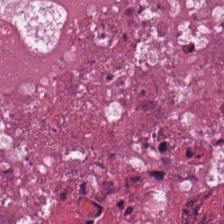Q: What type of tissue is this?
A: Debris.
